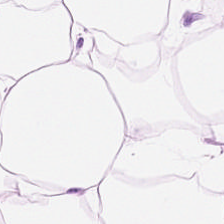Stain: H&E stain.
Preparation: FFPE.
Resolution: 20× equivalent magnification.
Tissue: adipocytes.
